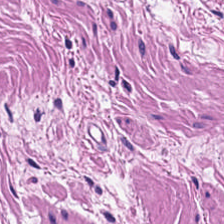Showing smooth muscle.
